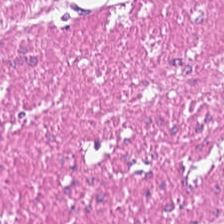Hematoxylin and eosin. Formalin-fixed paraffin-embedded section.
Tissue — muscularis.
